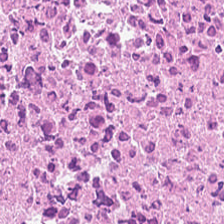224×224 px tile. H&E-stained tissue section — Q: Identify the tissue.
A: It is cellular debris.
